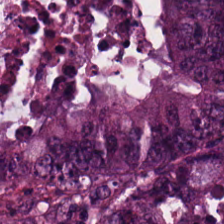Hematoxylin and eosin — This patch shows colorectal adenocarcinoma epithelium.
